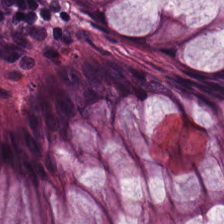Hematoxylin-and-eosin stained section · formalin-fixed paraffin-embedded section. The tissue class is normal colonic mucosa.
